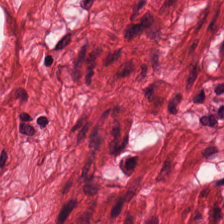H&E stain — {"tissue_type": "smooth-muscle tissue"}
